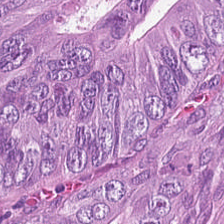Stain: H&E-stained tissue section.
Preparation: FFPE tissue section.
Tissue type: colorectal adenocarcinoma.
